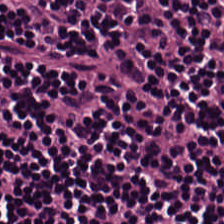Q: What type of tissue is this?
A: This is lymphocyte aggregate.
